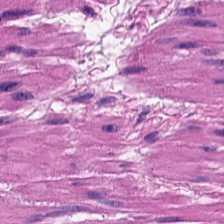20× equivalent magnification. Hematoxylin-and-eosin stained section. Brightfield.
Predominantly smooth-muscle tissue.
